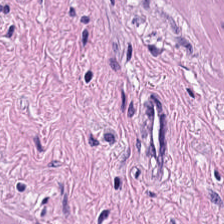H&E. Predominant tissue — smooth-muscle tissue.
